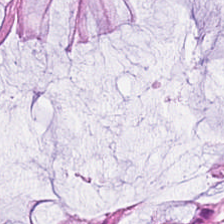Brightfield. H&E-stained tissue section. Formalin-fixed paraffin-embedded section — Q: What is the predominant tissue type?
A: Non-neoplastic colon mucosa.
